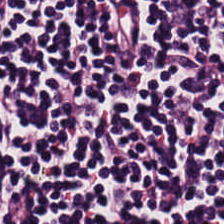H&E-stained tissue section — Tissue: lymphocytes.
